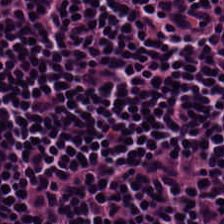Hematoxylin and eosin · whole-slide-image patch · formalin-fixed paraffin-embedded section — This patch shows lymphocytes.
